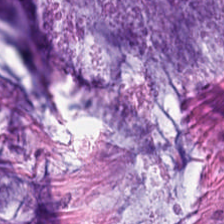H&E.
{"tissue_type": "extracellular mucin"}
